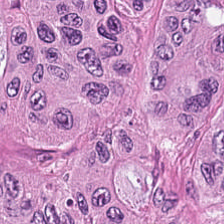H&E stain.
Q: What tissue type is shown here?
A: The field shows colorectal adenocarcinoma epithelium.
